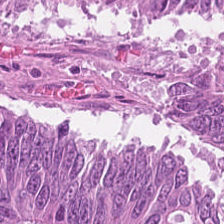FFPE tissue section; 0.5 microns per pixel; H&E-stained tissue section. The predominant tissue is colorectal adenocarcinoma epithelium.
